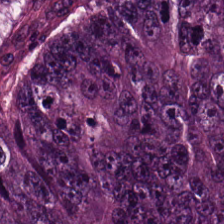Formalin-fixed paraffin-embedded section; hematoxylin-and-eosin stained section; WSI patch.
Tumor epithelium.
